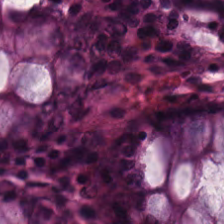Hematoxylin-and-eosin stained section. Brightfield microscopy. Q: What is the predominant tissue type?
A: It is benign colonic mucosa.
